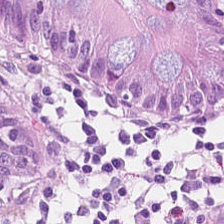FFPE. 224×224 pixel tile. Hematoxylin and eosin — The tissue here is normal colon mucosa.
